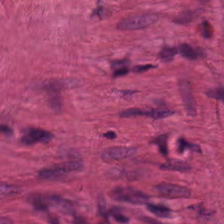Hematoxylin and eosin — Predominantly muscularis.
